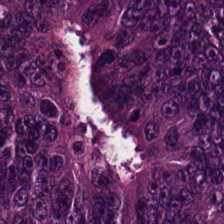FFPE tissue section · H&E-stained tissue section. The tissue here is tumor epithelium.
